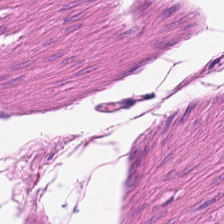H&E; FFPE tissue section; brightfield microscopy — Smooth-muscle tissue.
